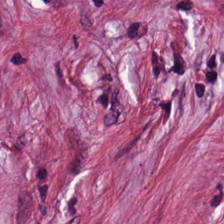0.5 microns per pixel. H&E — Showing tumor-associated stroma.
